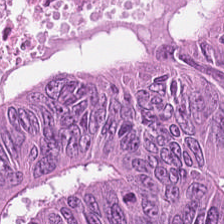Hematoxylin-and-eosin stained section. Q: What does this patch show?
A: The field shows tumor epithelium.
